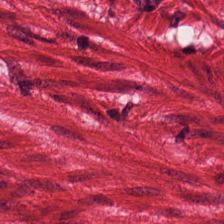Predominantly muscularis.
